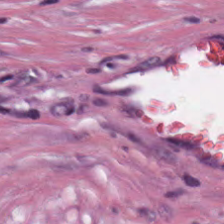224×224 pixel tile · FFPE tissue section · hematoxylin and eosin.
Histology → cancer-associated stroma.
